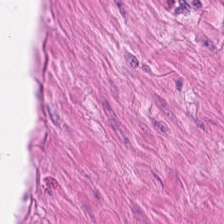H&E. Q: What does this patch show?
A: Smooth muscle.
